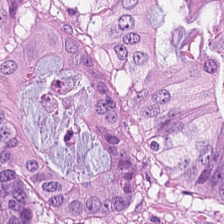Formalin-fixed paraffin-embedded section. Hematoxylin and eosin. Brightfield. Q: What is the predominant tissue type?
A: The field shows colorectal adenocarcinoma epithelium.
